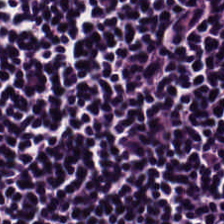0.5 microns per pixel · brightfield microscopy · H&E. The tissue class is lymphoid infiltrate.
